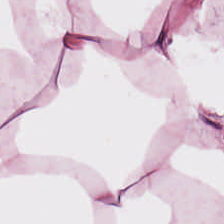Stain: H&E stain.
Predominant tissue: fat tissue.
